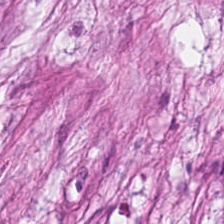FFPE tissue section · H&E · brightfield microscopy — Predominant tissue = cancer-associated stroma.
